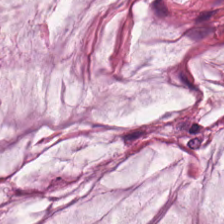H&E-stained tissue section. Q: Identify the tissue.
A: Mucin.
